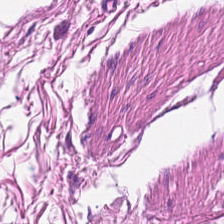Showing smooth-muscle tissue.
